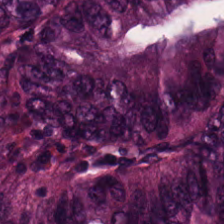Q: What type of tissue is this?
A: Colorectal adenocarcinoma.
